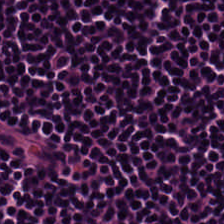This field is lymphocytes.
